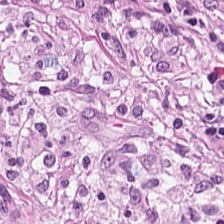Stain: hematoxylin and eosin.
Tissue type: cancer-associated stroma.
